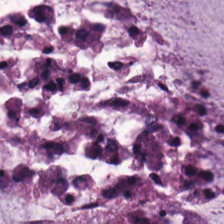Stain: hematoxylin-and-eosin stained section.
Tissue class: mucus.
